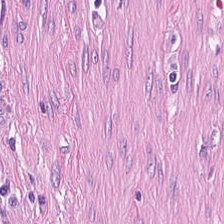{"tissue_type": "tumor-associated stroma"}
